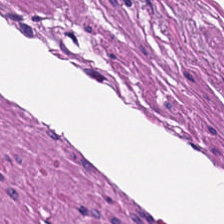0.5 µm/px · H&E stain · formalin-fixed paraffin-embedded section — Impression → muscularis.
